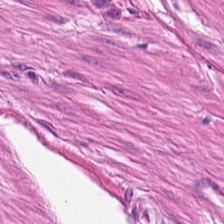H&E; 0.5 µm/px — Tissue — smooth muscle.
